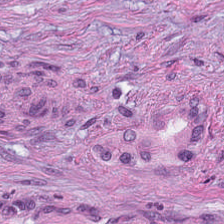Q: What does this patch show?
A: It is cancer-associated stroma.
